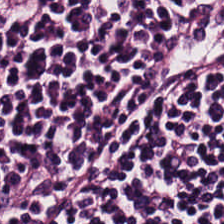H&E; 224×224 pixel tile; WSI patch.
Q: What is the predominant tissue type?
A: The field shows lymphocytes.
